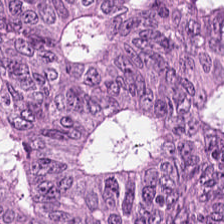H&E.
Tumor epithelium.
